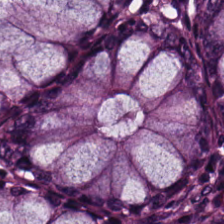224×224 pixel tile · H&E-stained tissue section — Showing normal colonic mucosa.
